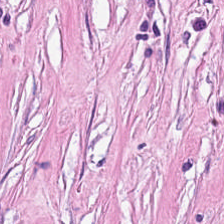WSI patch. H&E stain.
Predominant tissue — tumor stroma.
